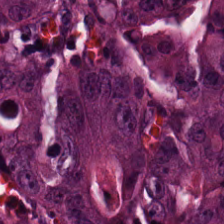Q: What tissue type is shown here?
A: The field shows adenocarcinoma.
